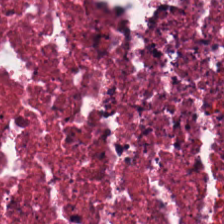Q: What tissue type is shown here?
A: It is necrotic debris.
